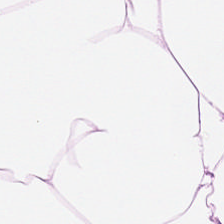Stain: H&E-stained tissue section.
Tissue: adipocytes.
